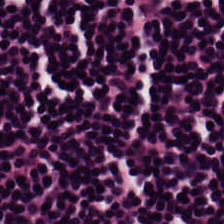Hematoxylin-and-eosin stained section — Classification: lymphoid infiltrate.
